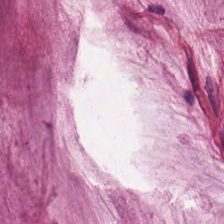H&E-stained tissue section · formalin-fixed paraffin-embedded section.
Q: What does this patch show?
A: This is extracellular mucin.
